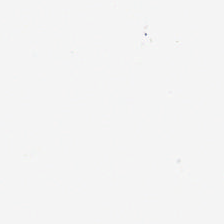Stain: H&E-stained tissue section.
Content: empty background.
